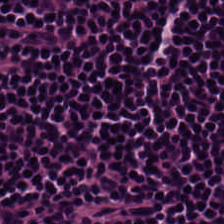224×224 pixel tile · H&E stain — This patch shows lymphocyte aggregate.
